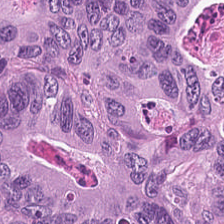Stain: hematoxylin-and-eosin stained section.
Tissue type: adenocarcinoma.
